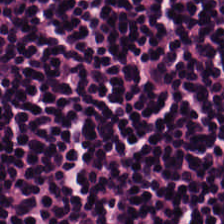224×224 px tile; hematoxylin and eosin — Showing lymphocytes.
